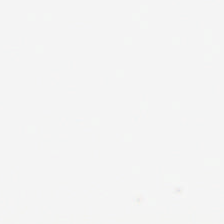WSI patch. H&E — This patch shows background.
